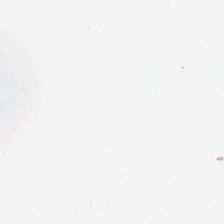224×224 px tile · 20× equivalent magnification · hematoxylin-and-eosin stained section. Content: no tissue.
